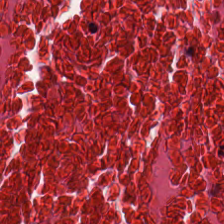H&E-stained tissue section. 224×224 px patch.
Predominantly debris.
